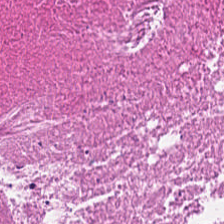H&E — debris.
